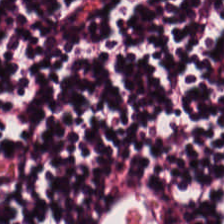Tissue = lymphocytes.
